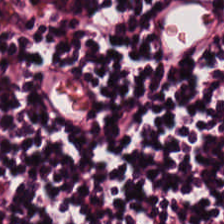Hematoxylin and eosin — Classification: lymphoid infiltrate.
